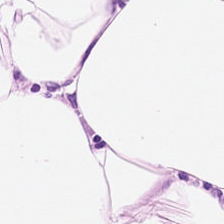H&E stain. WSI patch.
Q: What type of tissue is this?
A: This is adipose.
